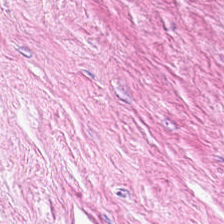Hematoxylin and eosin. 0.5 microns per pixel. Q: What tissue type is shown here?
A: The field shows desmoplastic stroma.
